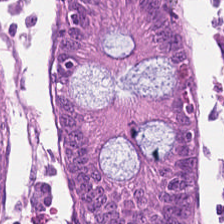H&E-stained tissue section. FFPE tissue section. Brightfield.
Q: What is the predominant tissue type?
A: This is benign colonic mucosa.
